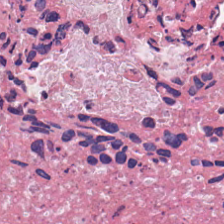Hematoxylin-and-eosin stained section.
Q: What is the predominant tissue type?
A: Debris.
